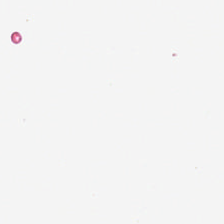224×224 pixel tile; hematoxylin and eosin. Empty field — background.
